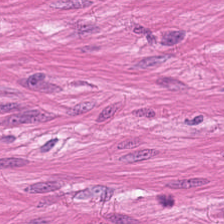Hematoxylin-and-eosin stained section — Showing smooth muscle.
